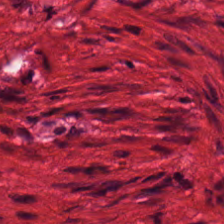224×224 px patch; hematoxylin and eosin.
Tissue class — smooth muscle.
